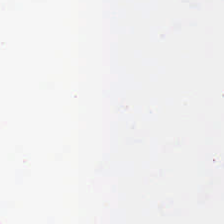224×224 px tile. Hematoxylin and eosin. Content: background (no tissue).
